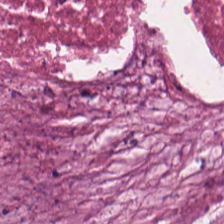H&E-stained tissue section. Finding — cellular debris.
